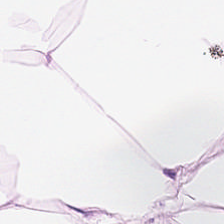H&E.
Predominant tissue = adipose.
